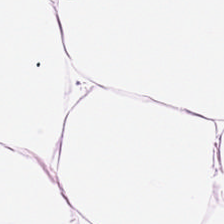H&E patch showing adipose.
